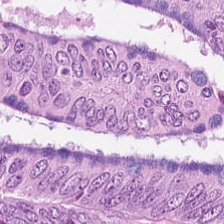H&E — Q: What does this patch show?
A: This is tumor epithelium.
